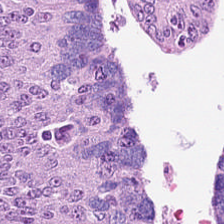Stain: hematoxylin and eosin.
Tile size: 224×224 pixel tile.
Tissue type: tumor epithelium.
